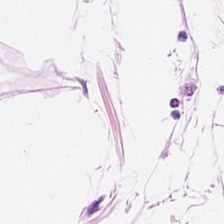H&E — {"tissue_type": "fat tissue"}
